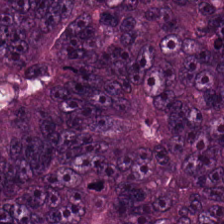Formalin-fixed paraffin-embedded section; hematoxylin-and-eosin stained section — Q: Classify this patch.
A: This is malignant epithelium.
